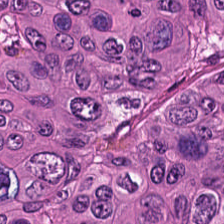This patch shows colorectal adenocarcinoma epithelium.
